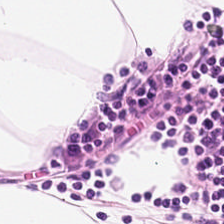H&E patch showing fat tissue.
